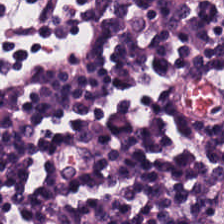H&E-stained tissue section · whole-slide-image patch. The tissue here is lymphoid infiltrate.
